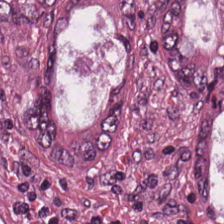H&E-stained section; the field shows malignant epithelium.
